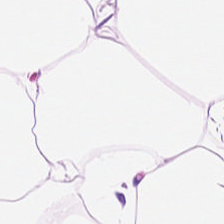Hematoxylin-and-eosin stained section. Tissue class = adipose tissue.
